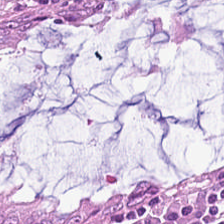H&E. 20× equivalent magnification.
Finding → benign colonic mucosa.
